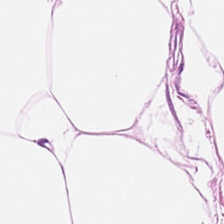Hematoxylin-and-eosin stained section.
Q: What type of tissue is this?
A: It is fat tissue.
